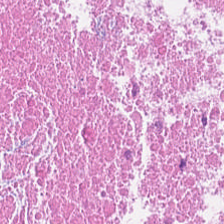H&E-stained tissue section.
Tissue: debris.
